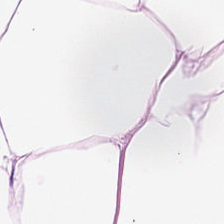Showing fat tissue.
